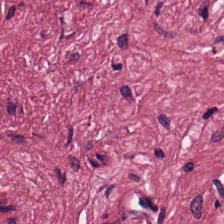Stain: hematoxylin and eosin.
Tissue: desmoplastic stroma.
